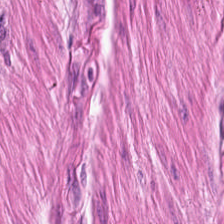Stain: hematoxylin and eosin.
Classification: smooth muscle.
